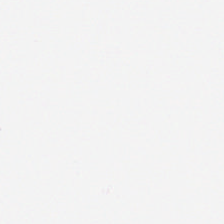Hematoxylin-and-eosin stained section · brightfield microscopy · FFPE — Content = empty background.
